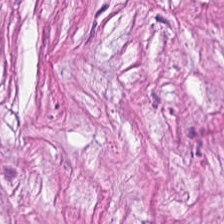Hematoxylin-and-eosin stained section. Q: What tissue type is shown here?
A: It is tumor stroma.
